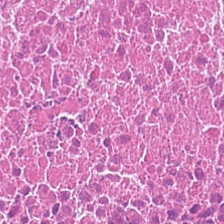Hematoxylin-and-eosin stained section. {"tissue_type": "debris"}
